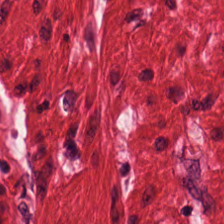Hematoxylin and eosin. Brightfield microscopy. Q: What is the predominant tissue type?
A: Smooth-muscle tissue.
